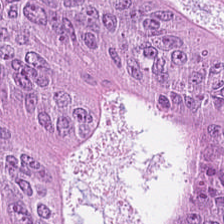Tissue class: colorectal adenocarcinoma.
